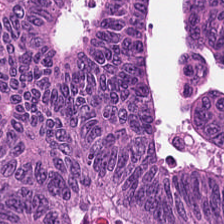Q: What tissue type is shown here?
A: Adenocarcinoma.
